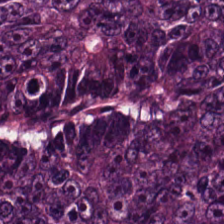Hematoxylin and eosin. Predominant tissue — adenocarcinoma.
